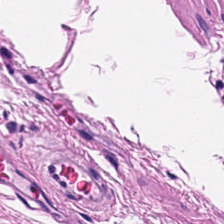224×224 pixel tile. Hematoxylin and eosin. 20× equivalent magnification.
The tissue here is muscularis.
